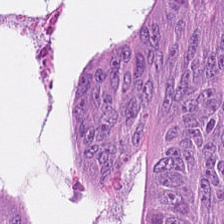Q: What is the predominant tissue type?
A: This is adenocarcinoma.
